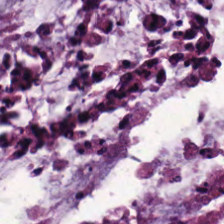Histology → mucin.
